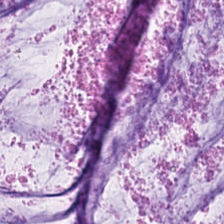H&E stain. The tissue here is extracellular mucin.
